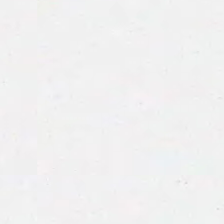Stain: hematoxylin-and-eosin stained section.
Acquisition: brightfield microscopy.
Field content: background (no tissue).
